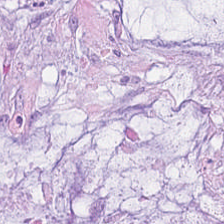224×224 px tile · H&E-stained tissue section — The tissue here is extracellular mucin.
